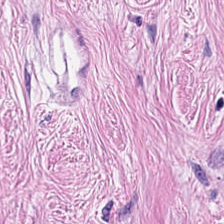Classification = tumor stroma.
